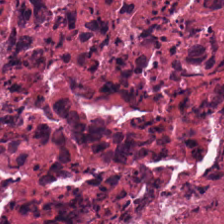Brightfield; hematoxylin and eosin; FFPE tissue section. Q: What is shown in this field?
A: It is cellular debris.
